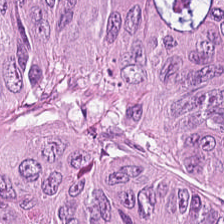224×224 px tile; hematoxylin and eosin; WSI patch. Tumor epithelium.
